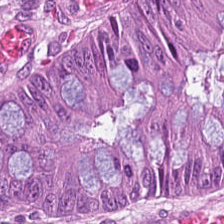224×224 px patch · H&E-stained tissue section · 0.5 µm/px.
Q: What is shown here?
A: The field shows colorectal adenocarcinoma.
